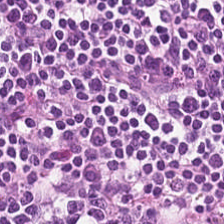Hematoxylin and eosin. Lymphocytic infiltrate.
